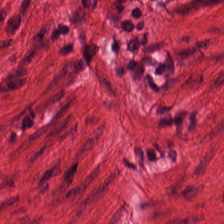Stain: H&E.
Classification: smooth muscle.
